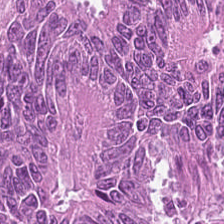224×224 px patch. Hematoxylin-and-eosin stained section. Brightfield — {"tissue_type": "tumor epithelium"}
